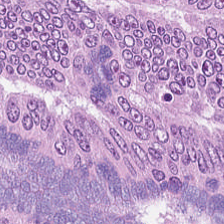Hematoxylin and eosin.
{"tissue_type": "adenocarcinoma"}
